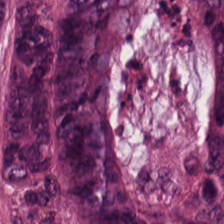FFPE tissue section; H&E. Predominant tissue — malignant epithelium.
